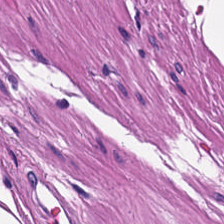Impression — muscularis.
